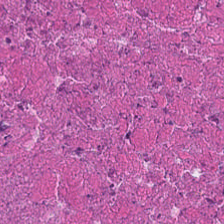This field is debris.
